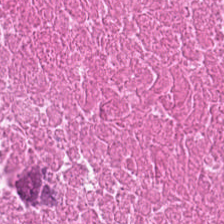Q: What is shown here?
A: This is debris.
